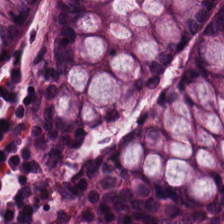H&E-stained tissue section.
Normal colonic mucosa.
